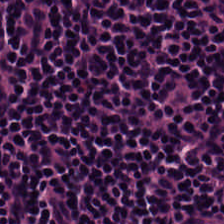Q: What is shown in this field?
A: It is lymphocytes.
